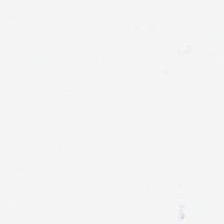Content — empty background.
